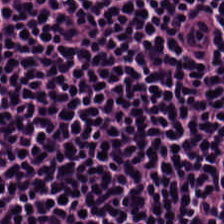H&E-stained tissue section; 20× equivalent magnification — Impression — lymphoid infiltrate.
